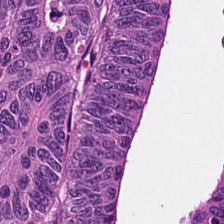Tissue = tumor epithelium.
